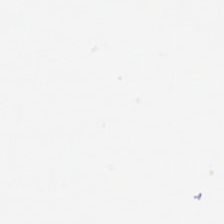Stain: hematoxylin and eosin.
Content: background (no tissue).
